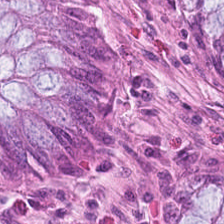H&E stain.
The predominant tissue is normal colonic mucosa.
